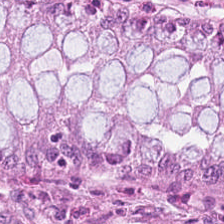H&E stain. The tissue is normal colon mucosa.
